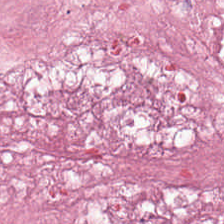H&E stain. The tissue type is cancer-associated stroma.
